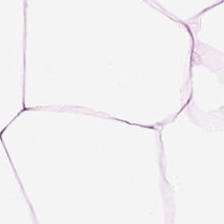Brightfield · hematoxylin-and-eosin stained section · 224×224 px patch.
This patch shows adipose.
